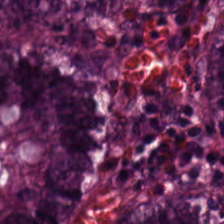Hematoxylin and eosin.
{"tissue_type": "normal colonic mucosa"}
